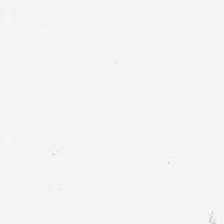Finding — background.
